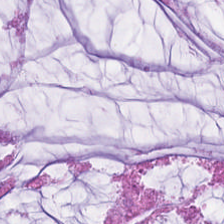This patch shows mucin.
